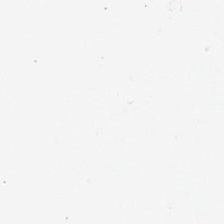224×224 px patch · H&E-stained tissue section · brightfield. Impression → no tissue.
